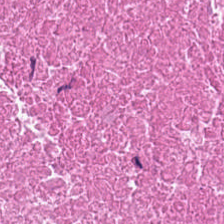Histology — necrotic debris.
